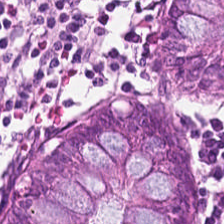Tissue: normal colon mucosa.
